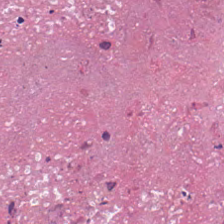H&E-stained tissue section. Q: What type of tissue is this?
A: It is debris.
